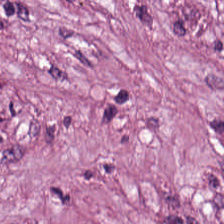Q: What does this patch show?
A: Tumor stroma.
